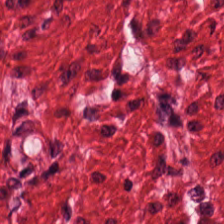H&E stain. 224×224 px patch.
Showing muscularis.
